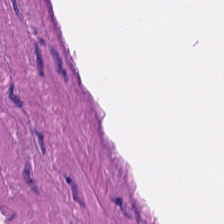H&E stain. Finding → muscularis.
